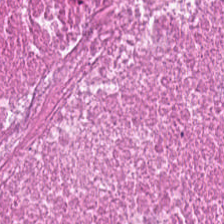H&E · whole-slide-image patch. Predominantly debris.
